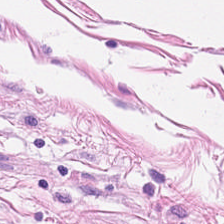H&E · 224×224 px patch — Predominantly smooth muscle.
